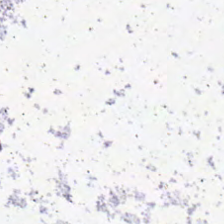Content — background.
